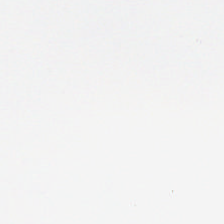Hematoxylin and eosin.
Background — no tissue in this field.
